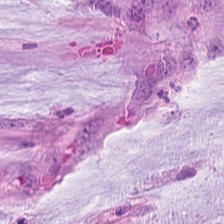Hematoxylin-and-eosin stained section. WSI patch. 224×224 px tile. This patch shows mucin.
